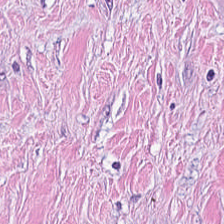Hematoxylin and eosin.
This field is tumor stroma.
